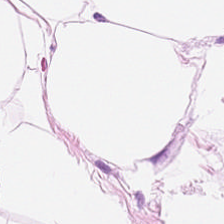H&E-stained tissue section. 20× equivalent magnification — Classification = adipose.
